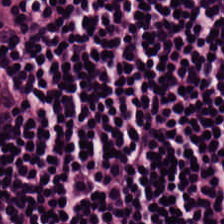Stain: H&E.
Predominant tissue: lymphocytic infiltrate.
